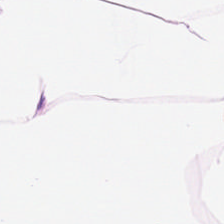Hematoxylin and eosin. FFPE.
Q: What does this patch show?
A: This is adipose.
